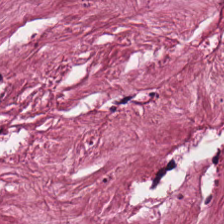0.5 microns per pixel. Hematoxylin-and-eosin stained section. Classification = cancer-associated stroma.
